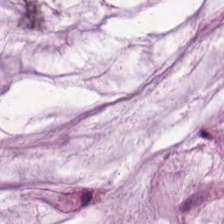H&E. Tissue class = extracellular mucin.
